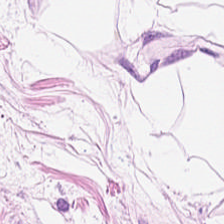Stain: hematoxylin-and-eosin stained section.
Preparation: formalin-fixed paraffin-embedded section.
Classification: fat tissue.
